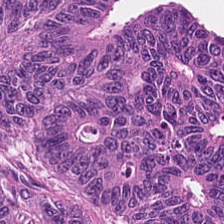Hematoxylin-and-eosin stained section.
Impression → malignant epithelium.
